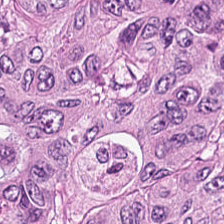H&E-stained tissue section. Impression → colorectal adenocarcinoma epithelium.
